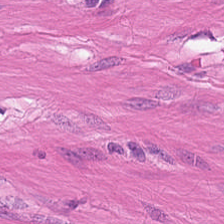H&E stain. The tissue type is smooth muscle.
